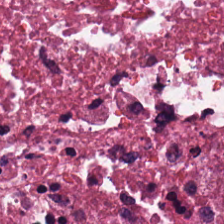H&E stain — Predominant tissue: cellular debris.
